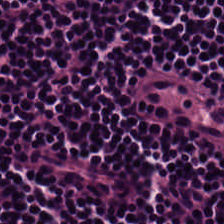Showing lymphoid infiltrate.
